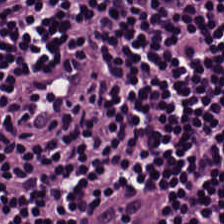This field is lymphocyte aggregate.
